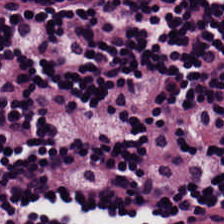Hematoxylin and eosin. The predominant tissue is lymphocyte aggregate.
